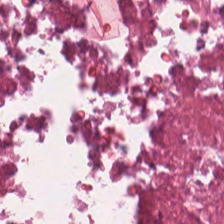Stain: H&E stain.
Tissue class: cellular debris.
